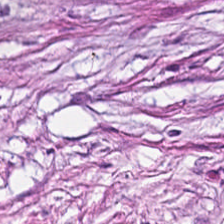Hematoxylin-and-eosin stained section.
This field is tumor-associated stroma.
